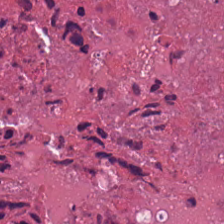H&E stain.
Predominant tissue = debris.
